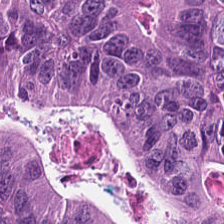Hematoxylin and eosin · FFPE · brightfield microscopy — The classification is colorectal adenocarcinoma.
